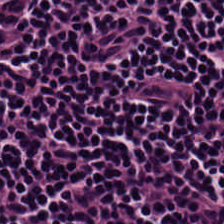H&E — The predominant tissue is lymphocyte aggregate.
